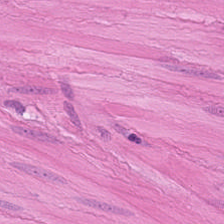Smooth muscle.
